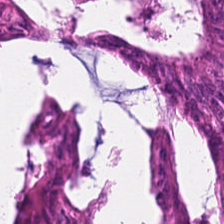Q: What is the predominant tissue type?
A: Tumor epithelium.
